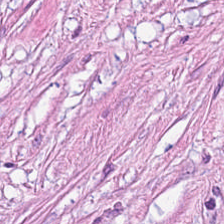H&E stain; formalin-fixed paraffin-embedded section. Predominantly tumor stroma.
